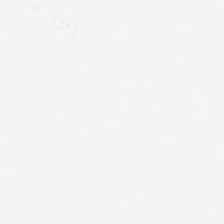Hematoxylin and eosin — Classification: no tissue.
